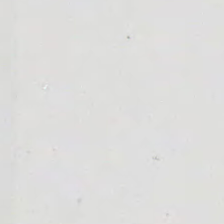20× equivalent magnification. H&E stain — This field is background (no tissue).
